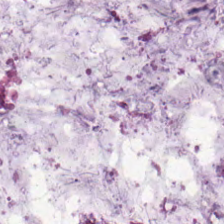Hematoxylin-and-eosin section: mucus.
